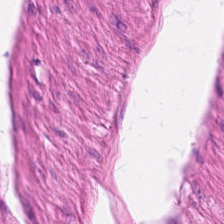Stain: H&E.
Predominant tissue: smooth muscle.
